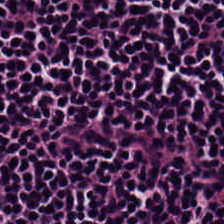Impression — lymphocyte aggregate.
